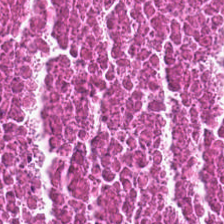Brightfield · FFPE tissue section · H&E-stained tissue section — Histology — cellular debris.
